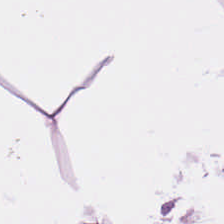FFPE. Hematoxylin and eosin.
Fat tissue.
